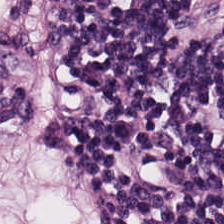H&E-stained tissue section. {"tissue_type": "lymphocytic infiltrate"}
